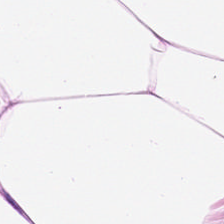H&E stain. This field is fat tissue.
